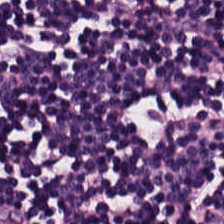H&E stain.
Q: What is shown here?
A: This is lymphocyte aggregate.
